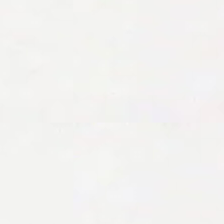H&E stain · 224×224 px tile · FFPE tissue section.
Empty background.
